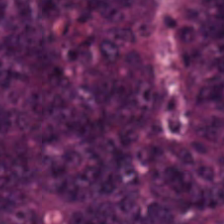224×224 pixel tile; hematoxylin-and-eosin stained section — {"tissue_type": "malignant epithelium"}
